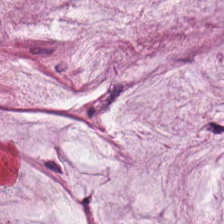Stain: H&E stain.
Tissue class: mucus.
